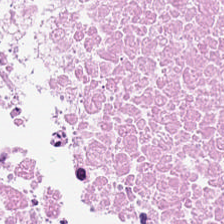H&E-stained tissue section.
The tissue here is necrotic debris.
